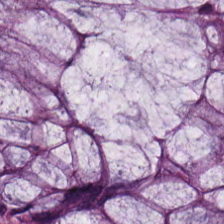H&E. This patch shows benign colonic mucosa.
